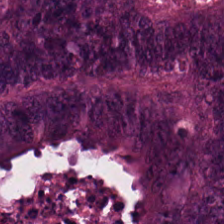224×224 px tile. H&E stain. Brightfield.
Tissue class: colorectal adenocarcinoma.
